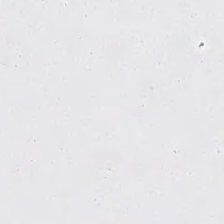Histology — no tissue.
